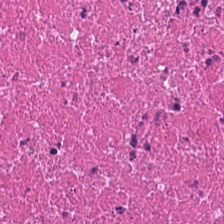Hematoxylin-and-eosin stained section — Q: What is shown here?
A: The field shows cellular debris.
